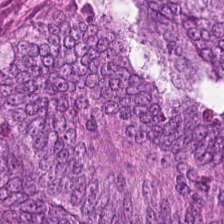H&E.
This field is colorectal adenocarcinoma.
